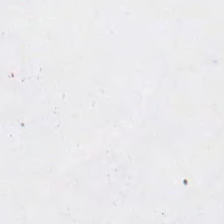Impression → background (no tissue).
